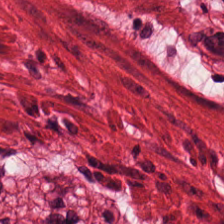Tissue class — muscularis.
